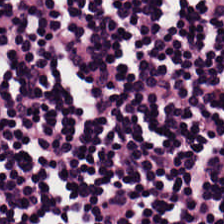0.5 µm/px. 224×224 px patch. H&E.
The predominant tissue is lymphocytes.
